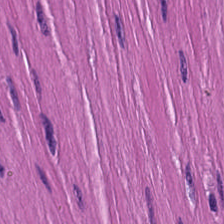Hematoxylin-and-eosin stained section.
Tissue — smooth-muscle tissue.
